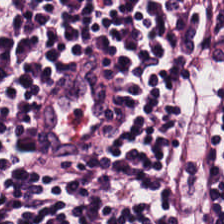{"tissue_type": "lymphocytic infiltrate"}
